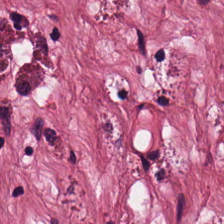H&E-stained tissue section.
The tissue here is tumor-associated stroma.
